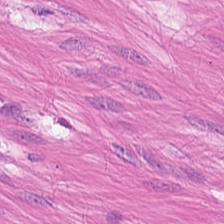Stain: H&E.
Resolution: 0.5 µm/px.
Preparation: FFPE.
Tissue type: smooth muscle.
